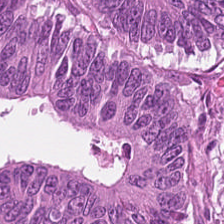Classification — colorectal adenocarcinoma.
